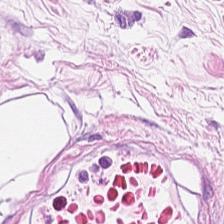Hematoxylin and eosin — Tissue: adipocytes.
